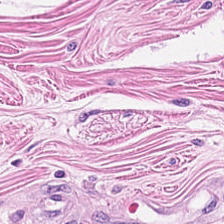H&E stain — The predominant tissue is smooth-muscle tissue.
